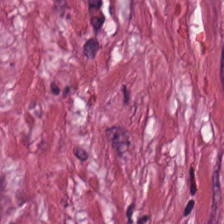Hematoxylin-and-eosin stained section · 20× equivalent magnification — The tissue here is tumor stroma.
